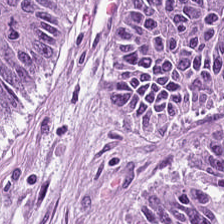Hematoxylin-and-eosin stained section. Predominantly malignant epithelium.
